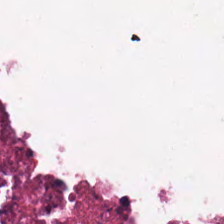Hematoxylin-and-eosin stained section.
Q: Identify the tissue.
A: Debris.
